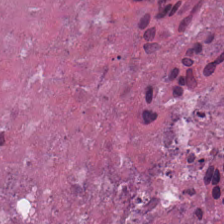H&E stain. Predominantly cellular debris.
